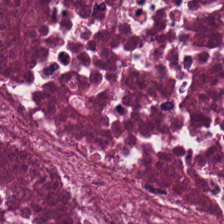Brightfield; hematoxylin and eosin. Q: What tissue type is shown here?
A: It is debris.
